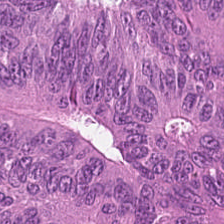Hematoxylin-and-eosin stained section. WSI patch. 0.5 microns per pixel.
Q: What type of tissue is this?
A: It is tumor epithelium.
